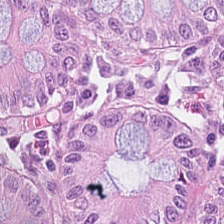Stain: hematoxylin and eosin.
Preparation: formalin-fixed paraffin-embedded section.
Tissue type: benign colonic mucosa.
